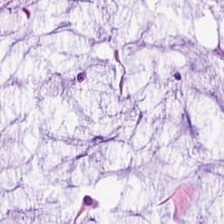H&E.
The tissue type is mucus.
